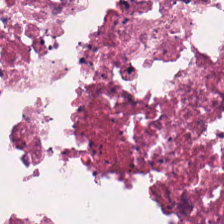Tissue = necrotic debris.
